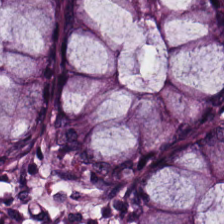Hematoxylin-and-eosin stained section.
Q: What tissue is shown?
A: It is normal colonic mucosa.
